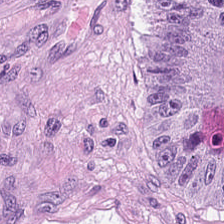H&E. Q: What is shown in this field?
A: The field shows colorectal adenocarcinoma epithelium.
